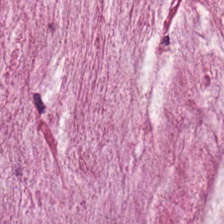Stain: hematoxylin and eosin.
Predominant tissue: mucus.
